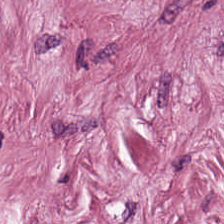Brightfield microscopy. FFPE. H&E stain.
This patch shows tumor-associated stroma.
